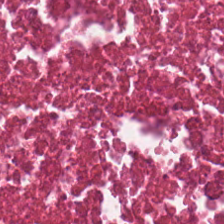Hematoxylin and eosin — Impression — debris.
